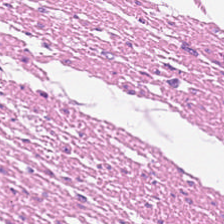H&E-stained tissue section — Showing muscularis.
